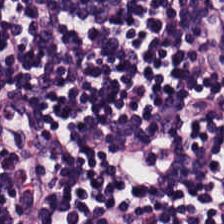H&E stain. Whole-slide-image patch. FFPE tissue section.
Predominantly lymphocyte aggregate.
